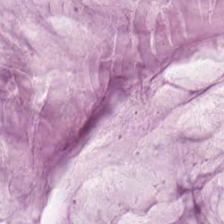H&E-stained tissue section. WSI patch. Q: What is the predominant tissue type?
A: It is mucin.
